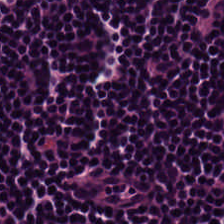H&E-stained tissue section · 0.5 µm/px — Predominantly lymphocyte aggregate.
